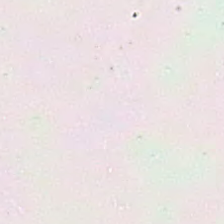H&E stain — The classification is empty background.
